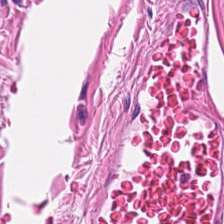H&E-stained section; the field shows muscularis.
